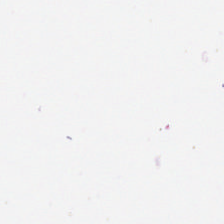Stain: H&E.
Content: background.
